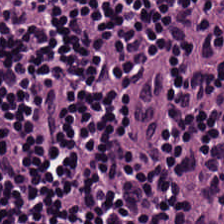H&E stain.
Impression → lymphoid infiltrate.
